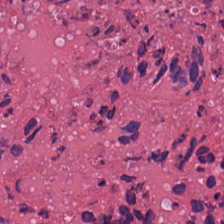20× equivalent magnification; hematoxylin-and-eosin stained section.
Q: What is the predominant tissue type?
A: It is cellular debris.
